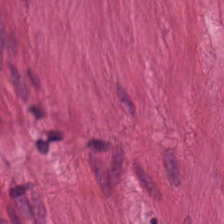Hematoxylin-and-eosin stained section. Predominantly muscularis.
